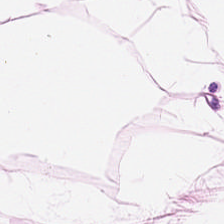H&E. Predominantly adipose tissue.
